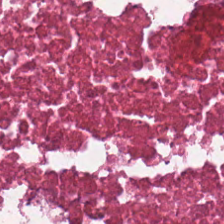H&E stain; 224×224 px patch; 0.5 µm/px — The tissue type is cellular debris.
